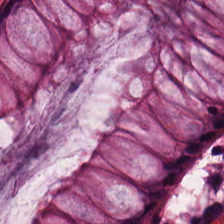H&E — Impression → normal colonic mucosa.
